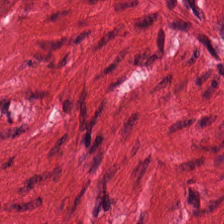H&E stain; whole-slide-image patch — Histology → muscularis.
